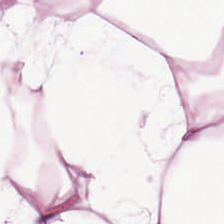Stain: H&E.
Predominant tissue: adipose.
